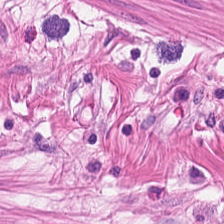H&E-stained tissue section. 0.5 µm per pixel — Tissue: muscularis.
